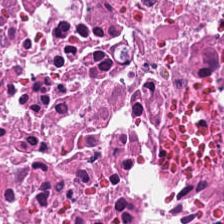H&E — Q: What is shown in this field?
A: It is debris.
